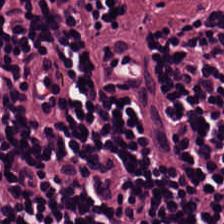0.5 µm/px; hematoxylin-and-eosin stained section; formalin-fixed paraffin-embedded section.
This field is lymphocytic infiltrate.
